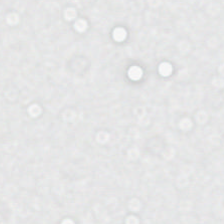FFPE. WSI patch. Hematoxylin and eosin. Q: What is shown here?
A: Background.
